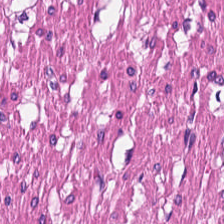{"tissue_type": "smooth-muscle tissue"}
